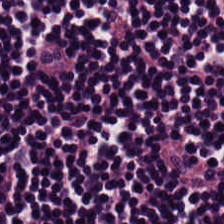WSI patch · hematoxylin and eosin.
Tissue = lymphocytes.
